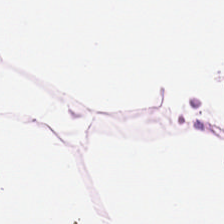H&E-stained tissue section showing adipocytes.
